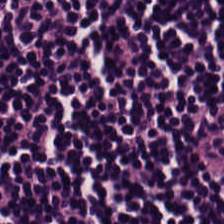Stain: hematoxylin and eosin.
Tissue type: lymphocyte aggregate.
